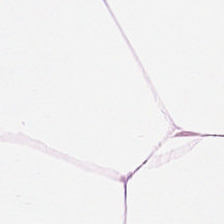H&E stain. Whole-slide-image patch. 0.5 µm/px — Finding → fat tissue.
